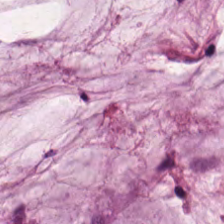Hematoxylin-and-eosin stained section. Predominant tissue = mucin.
